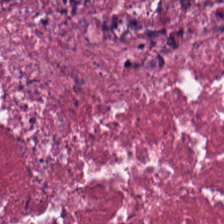H&E; 20× equivalent magnification. Predominantly cellular debris.
